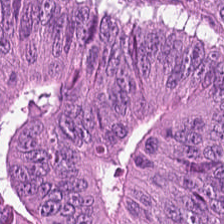Q: What is shown here?
A: Colorectal adenocarcinoma.
